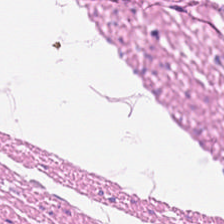Hematoxylin-and-eosin stained section — Classification = smooth-muscle tissue.
